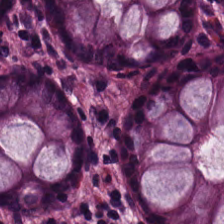Hematoxylin-and-eosin stained section.
Predominant tissue: benign colonic mucosa.
